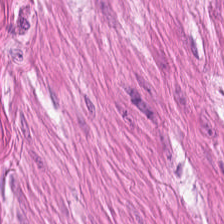Hematoxylin-and-eosin stained section — This field is muscularis.
